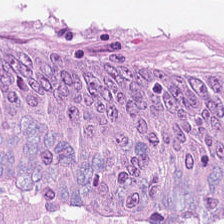Formalin-fixed paraffin-embedded section. Brightfield. Hematoxylin-and-eosin stained section.
The predominant tissue is colorectal adenocarcinoma epithelium.
